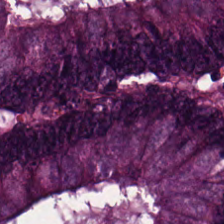Stain: H&E stain.
Predominant tissue: colorectal adenocarcinoma epithelium.
